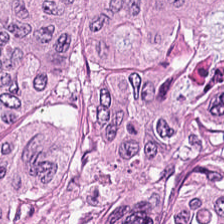Q: What is the predominant tissue type?
A: It is tumor epithelium.
